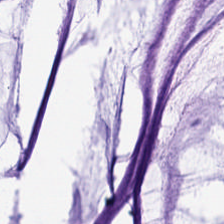Hematoxylin and eosin. Q: What type of tissue is this?
A: Mucus.
